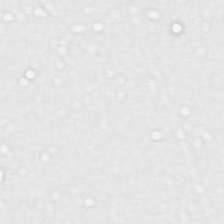Stain: hematoxylin-and-eosin stained section.
Preparation: formalin-fixed paraffin-embedded section.
Classification: no tissue.
